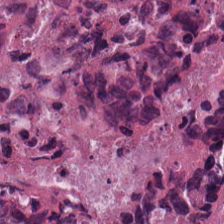0.5 µm per pixel; H&E-stained tissue section — Predominantly necrotic debris.
